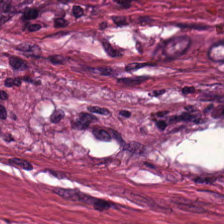Stain: H&E stain.
Preparation: formalin-fixed paraffin-embedded section.
Tissue: cancer-associated stroma.
